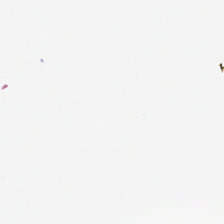H&E-stained tissue section — Q: What does this patch show?
A: This is background.
